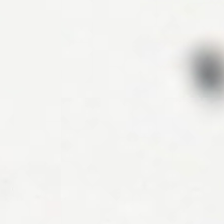Hematoxylin and eosin. Formalin-fixed paraffin-embedded section.
Background (no tissue).
